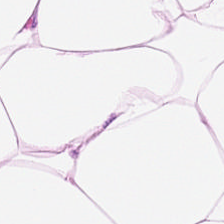Stain: hematoxylin and eosin.
Tissue type: fat tissue.
